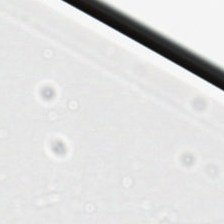Stain: H&E.
Tile size: 224×224 px tile.
Classification: background (no tissue).
